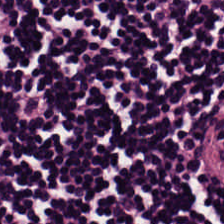Stain: H&E-stained tissue section.
Tissue class: lymphocytic infiltrate.
